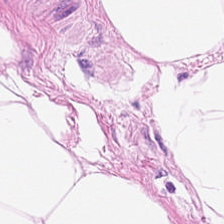224×224 px tile. Whole-slide-image patch. H&E-stained tissue section. Finding — adipocytes.
